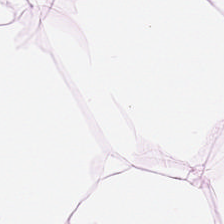0.5 µm per pixel. FFPE. Hematoxylin-and-eosin stained section. Tissue: adipose tissue.
